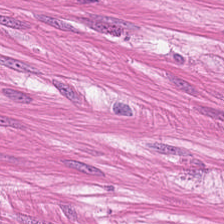Hematoxylin and eosin; 0.5 µm/px. Finding → muscularis.
